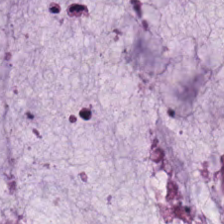Stain: H&E.
Tile size: 224×224 px tile.
Predominant tissue: mucin.
